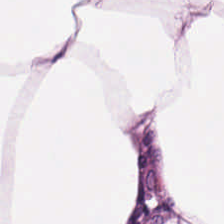Whole-slide-image patch · 224×224 pixel tile · H&E — Predominant tissue: adipocytes.
